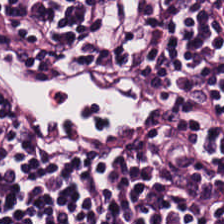H&E stain — Tissue class — lymphoid infiltrate.
